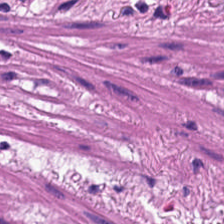H&E — Q: What does this patch show?
A: The field shows muscularis.
